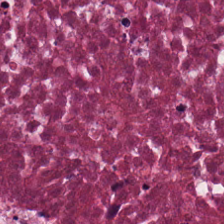Q: What is shown in this field?
A: The field shows necrotic debris.
